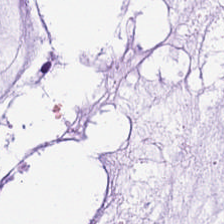Whole-slide-image patch; H&E. Histology → mucus.
